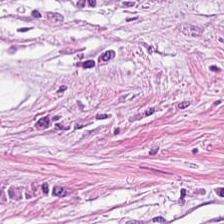224×224 px patch. H&E — Desmoplastic stroma.
